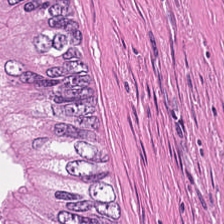Hematoxylin and eosin.
This field is cellular debris.
